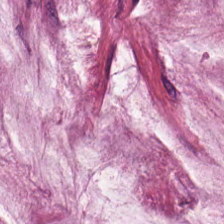Stain: hematoxylin-and-eosin stained section.
Classification: mucus.
